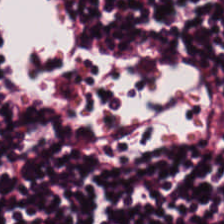Whole-slide-image patch; hematoxylin-and-eosin stained section; 0.5 microns per pixel. Impression — lymphocyte aggregate.
